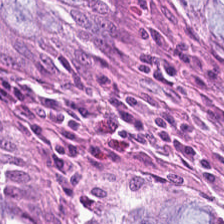H&E stain.
This patch shows normal colon mucosa.
